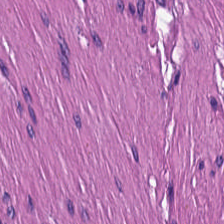H&E stain.
Q: What is shown in this field?
A: Muscularis.
